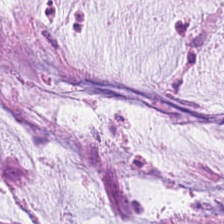Hematoxylin-and-eosin stained section. 224×224 pixel tile. Tissue type: mucin.
